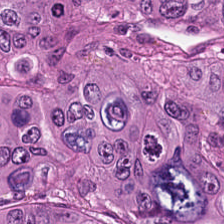H&E-stained section; the field shows colorectal adenocarcinoma epithelium.
